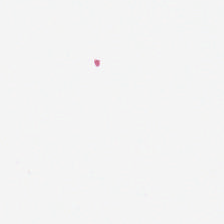H&E stain. Q: Classify this patch.
A: It is no tissue.
